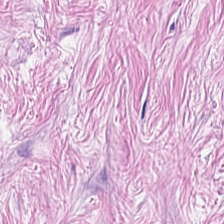FFPE; H&E-stained tissue section; 0.5 µm per pixel.
Classification = tumor-associated stroma.
